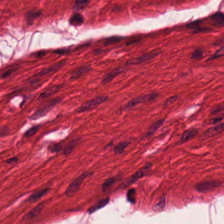Stain: hematoxylin-and-eosin stained section.
Acquisition: brightfield microscopy.
Tile size: 224×224 px tile.
Tissue: smooth-muscle tissue.
